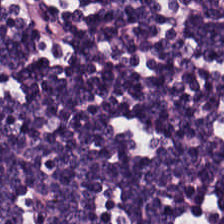H&E-stained tissue section; 20× equivalent magnification.
Tissue type: lymphoid infiltrate.
